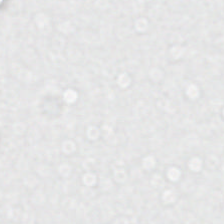Background — no tissue in this field.
